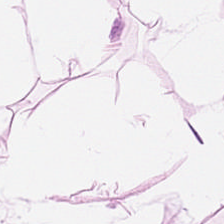H&E-stained tissue section · WSI patch. Adipose.
